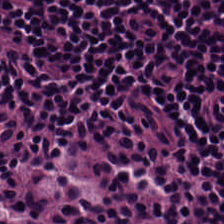H&E · 0.5 µm/px. Q: What does this patch show?
A: It is lymphocytic infiltrate.
